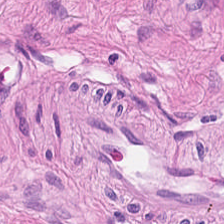Whole-slide-image patch · 224×224 pixel tile · H&E stain — Q: What tissue is shown?
A: This is smooth-muscle tissue.
